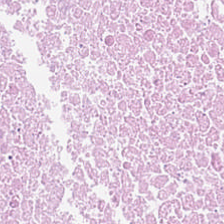Stain: H&E stain.
Resolution: 0.5 µm/px.
Tissue type: cellular debris.
